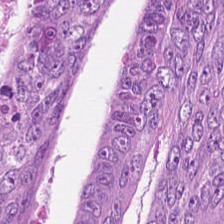224×224 px patch. H&E stain.
Showing colorectal adenocarcinoma epithelium.
